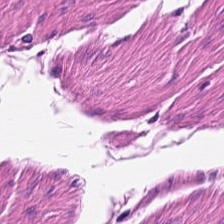Stain: hematoxylin and eosin.
Acquisition: brightfield microscopy.
Tile size: 224×224 px tile.
Classification: muscularis.
